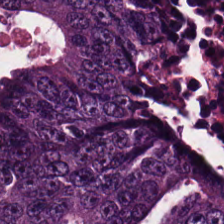Hematoxylin and eosin. FFPE.
Q: What tissue type is shown here?
A: Malignant epithelium.
